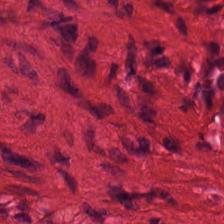H&E · 224×224 px patch · 0.5 µm/px.
Showing smooth-muscle tissue.
